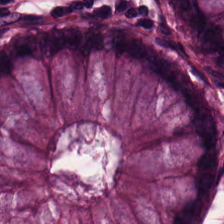Tissue = benign colonic mucosa.
